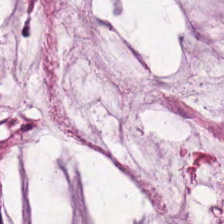H&E-stained tissue section · formalin-fixed paraffin-embedded section. Predominant tissue = mucin.
